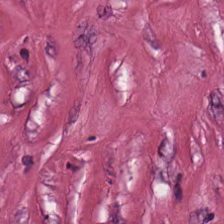Hematoxylin-and-eosin stained section · formalin-fixed paraffin-embedded section — Tissue — desmoplastic stroma.
